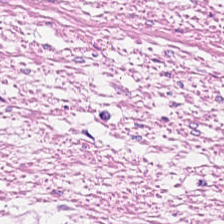Hematoxylin-and-eosin stained section.
This patch shows smooth-muscle tissue.
